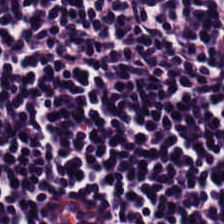H&E.
Showing lymphocyte aggregate.
